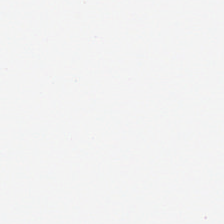Hematoxylin-and-eosin stained section. Classification — empty background.
